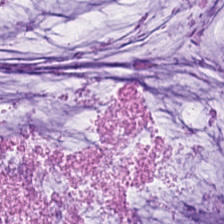Stain: H&E-stained tissue section.
Predominant tissue: mucus.
